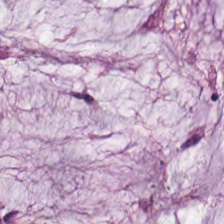Finding → extracellular mucin.
